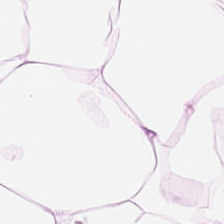Stain: hematoxylin and eosin.
Tissue type: adipose.
